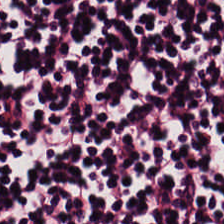H&E — Tissue = lymphocytic infiltrate.
